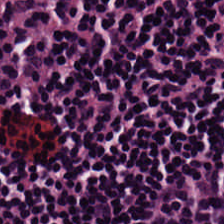{"tissue_type": "lymphocytic infiltrate"}
